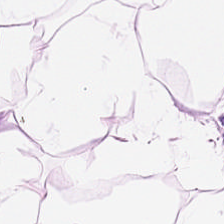Hematoxylin-and-eosin stained section — Q: What is shown here?
A: The field shows adipose.
